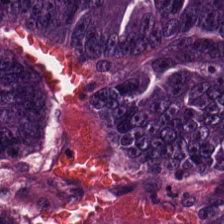Hematoxylin and eosin. Q: What is shown in this field?
A: This is tumor epithelium.
